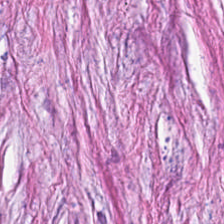Hematoxylin-and-eosin stained section; 224×224 pixel tile. The tissue here is tumor stroma.
